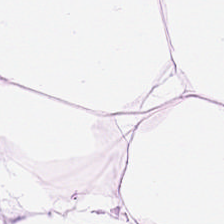H&E — Tissue type = adipose tissue.
